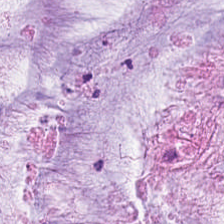Classification: mucin.
